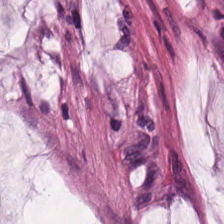H&E stain. Predominant tissue — mucus.
